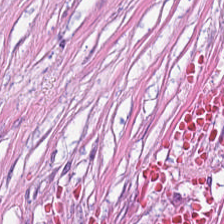Stain: hematoxylin and eosin.
Preparation: FFPE tissue section.
Tissue class: desmoplastic stroma.
